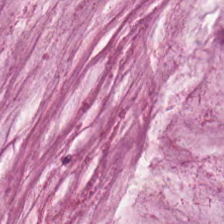Hematoxylin and eosin; formalin-fixed paraffin-embedded section. Histology → extracellular mucin.
